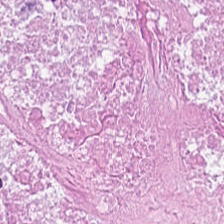The predominant tissue is necrotic debris.
